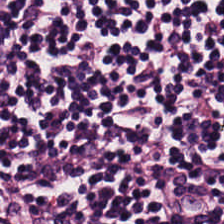Brightfield · H&E · formalin-fixed paraffin-embedded section.
Showing lymphoid infiltrate.
